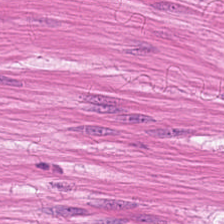Q: Classify this patch.
A: This is muscularis.
